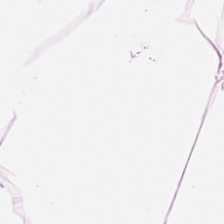H&E-stained tissue section — This patch shows adipocytes.
